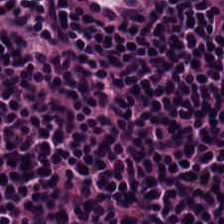H&E-stained tissue section. Lymphocyte aggregate.
